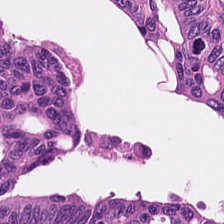Showing colorectal adenocarcinoma epithelium.
